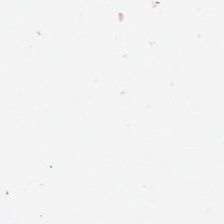Hematoxylin-and-eosin stained section; brightfield.
Histology — empty background.
